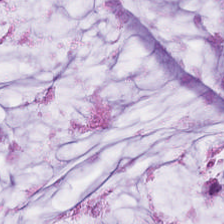The tissue class is mucin.
